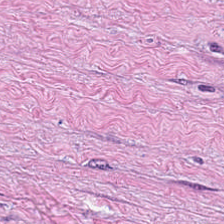Predominant tissue = tumor stroma.
